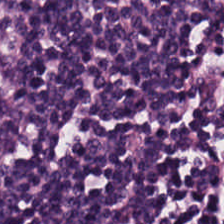H&E-stained tissue section.
Tissue class: lymphocytic infiltrate.
